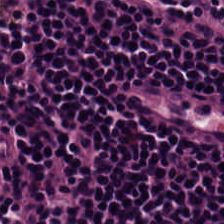Q: Classify this patch.
A: It is lymphocyte aggregate.
